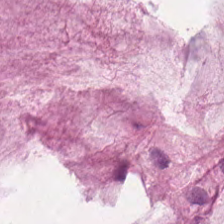H&E-stained tissue section.
Q: What tissue is shown?
A: The field shows mucus.
